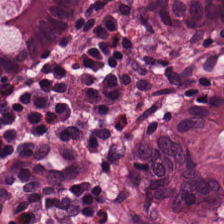Hematoxylin and eosin. Tissue type = normal colonic mucosa.
